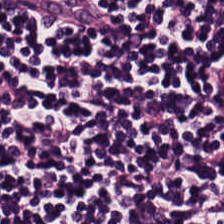H&E.
This field is lymphocyte aggregate.
